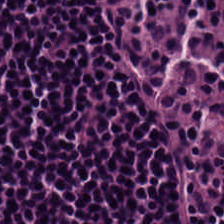H&E-stained tissue section.
Q: What does this patch show?
A: The field shows lymphoid infiltrate.
